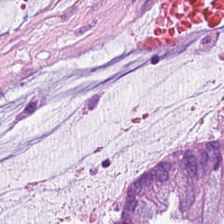H&E. 224×224 px tile — Showing extracellular mucin.
